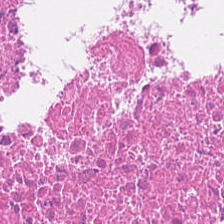Hematoxylin-and-eosin stained section — Tissue class: debris.
